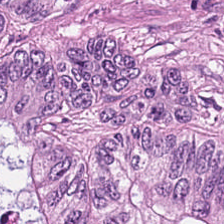224×224 px tile. Hematoxylin and eosin. The predominant tissue is tumor epithelium.
